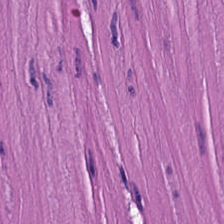20× equivalent magnification · hematoxylin-and-eosin stained section. Smooth-muscle tissue.
